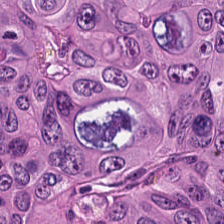Hematoxylin and eosin — Tissue: adenocarcinoma.
